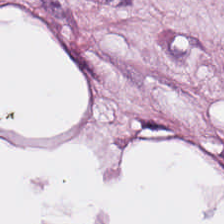Brightfield microscopy · H&E stain. This patch shows adipose tissue.
